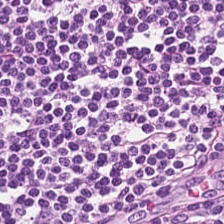Brightfield; hematoxylin and eosin; 224×224 pixel tile.
Showing lymphocytes.
